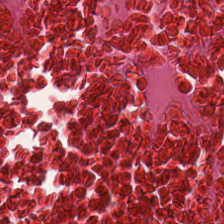Stain: hematoxylin and eosin.
Tissue: cellular debris.
